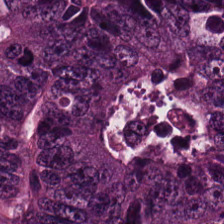Stain: H&E-stained tissue section.
Tissue: malignant epithelium.
